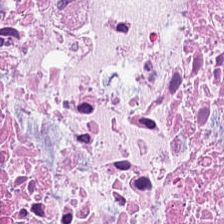This field is cellular debris.
